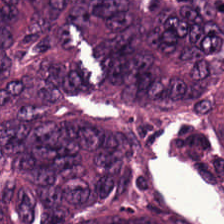Tissue = colorectal adenocarcinoma.
